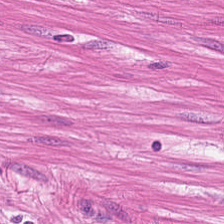Hematoxylin and eosin. FFPE tissue section — {"tissue_type": "smooth-muscle tissue"}
